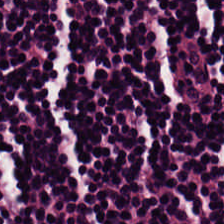H&E stain. The tissue here is lymphoid infiltrate.
